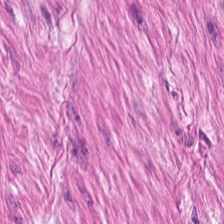H&E-stained tissue section. Predominantly smooth-muscle tissue.
